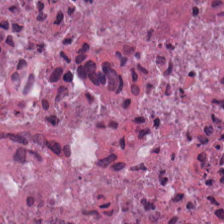Histology → debris.
